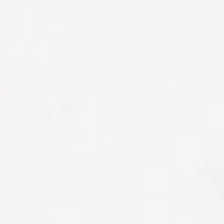H&E. Q: What is shown here?
A: This is background (no tissue).
